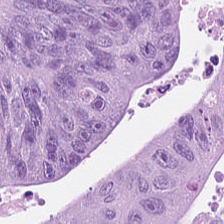224×224 px tile. Hematoxylin-and-eosin stained section. WSI patch. Histology — malignant epithelium.
